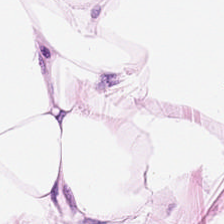Hematoxylin and eosin.
Adipose.
